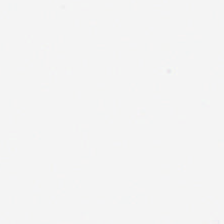Stain: hematoxylin and eosin.
Acquisition: brightfield microscopy.
Preparation: FFPE.
Content: empty background.
